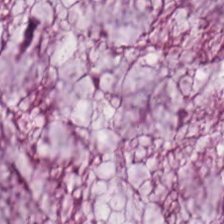H&E; 224×224 px patch.
Q: What is shown in this field?
A: It is mucus.
